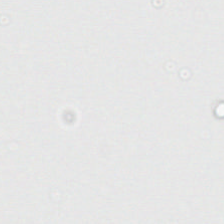Finding — background.
